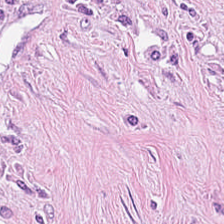H&E-stained tissue section.
Tissue = tumor-associated stroma.
